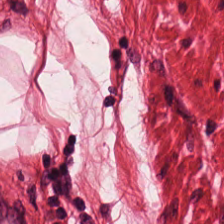Brightfield microscopy; hematoxylin and eosin.
Tissue type — smooth-muscle tissue.
